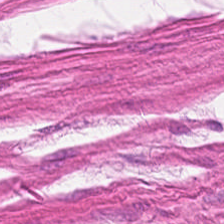Stain: hematoxylin and eosin.
Tissue class: muscularis.
